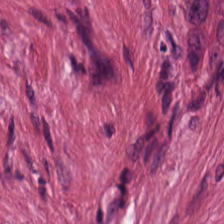Hematoxylin-and-eosin section: tumor stroma.
